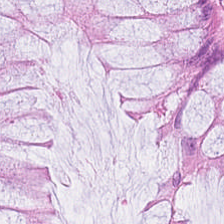Classification — benign colonic mucosa.
